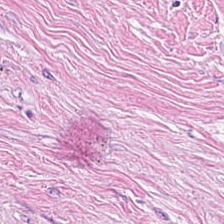H&E.
Tissue class: tumor stroma.
